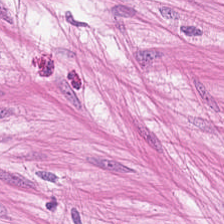H&E-stained tissue section — Predominant tissue: muscularis.
